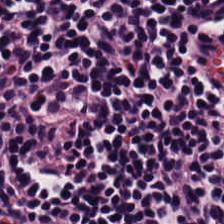Hematoxylin-and-eosin stained section · 20× equivalent magnification.
Tissue type = lymphocyte aggregate.
